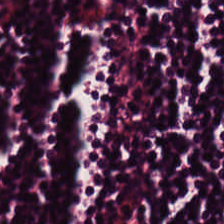Impression → lymphoid infiltrate.
